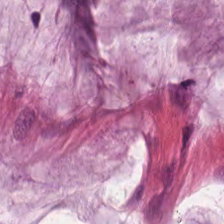FFPE · H&E — The tissue class is mucus.
